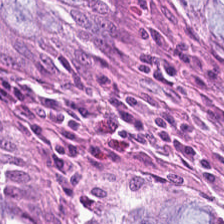Hematoxylin and eosin.
Normal colonic mucosa.
